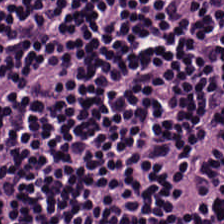H&E — Q: What is shown in this field?
A: This is lymphocytes.
